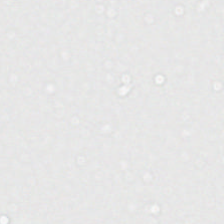Hematoxylin and eosin. FFPE. {"content": "empty background"}
